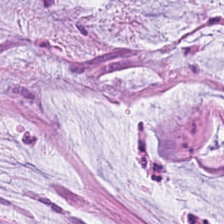Stain: hematoxylin-and-eosin stained section.
Preparation: FFPE tissue section.
Acquisition: whole-slide-image patch.
Tissue: mucin.
